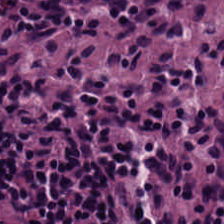Lymphoid infiltrate.
